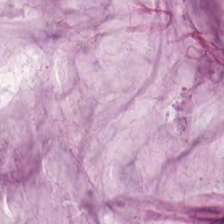H&E-stained tissue section showing mucin.
